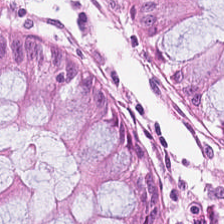H&E-stained tissue section. Finding — normal colon mucosa.
